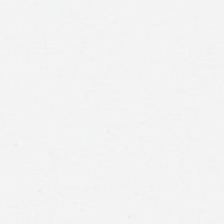Brightfield microscopy; H&E — Q: What is shown here?
A: This is no tissue.
